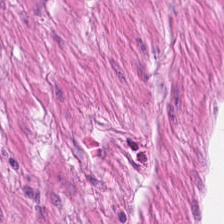Hematoxylin and eosin. 0.5 microns per pixel. Q: What is the predominant tissue type?
A: It is smooth muscle.
